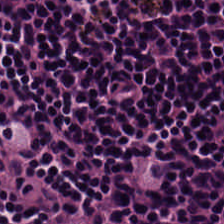Brightfield microscopy · FFPE · hematoxylin and eosin.
This patch shows lymphocytes.
